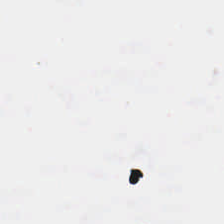H&E-stained tissue section. Background (no tissue).
